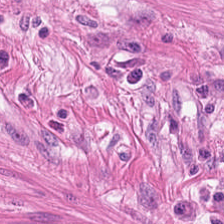Q: Classify this patch.
A: It is muscularis.
